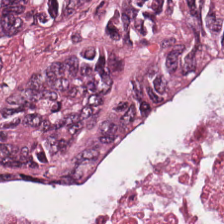Tissue class = malignant epithelium.
